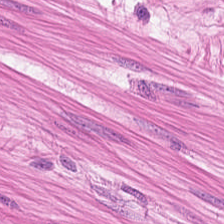0.5 µm/px; H&E-stained tissue section — Q: What does this patch show?
A: This is smooth-muscle tissue.
